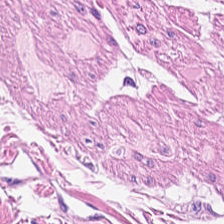Stain: hematoxylin-and-eosin stained section.
Predominant tissue: muscularis.
